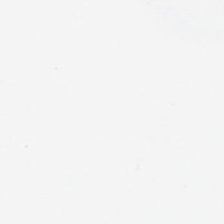Hematoxylin-and-eosin stained section. No tissue.
